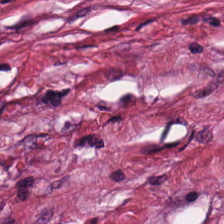Q: Classify this patch.
A: The field shows desmoplastic stroma.
